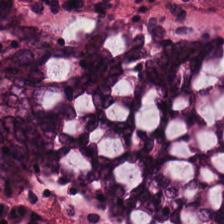0.5 microns per pixel · H&E stain · 224×224 px tile. Classification = benign colonic mucosa.
